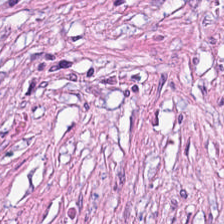0.5 µm per pixel; hematoxylin and eosin. Predominantly cancer-associated stroma.
